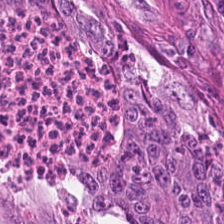H&E; 20× equivalent magnification — Finding → colorectal adenocarcinoma epithelium.
